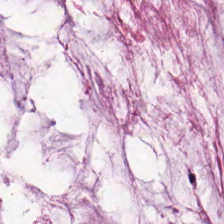H&E stain. 0.5 µm/px. FFPE. The predominant tissue is mucus.
